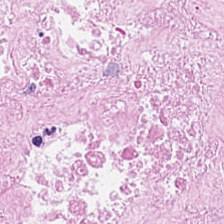H&E-stained tissue section.
Showing cellular debris.
